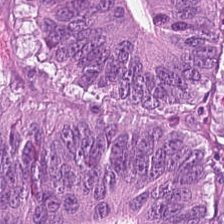H&E-stained tissue section · brightfield.
Adenocarcinoma.
